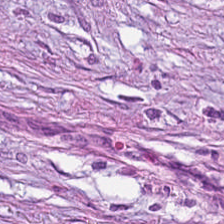Classification — cancer-associated stroma.
